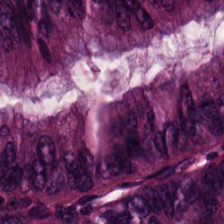Hematoxylin-and-eosin stained section — Classification: colorectal adenocarcinoma.
